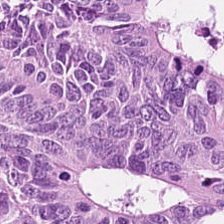Stain: H&E-stained tissue section.
Classification: tumor epithelium.
